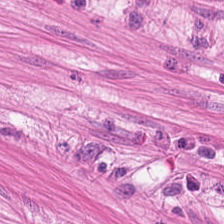H&E-stained tissue section · FFPE tissue section — Histology → muscularis.
